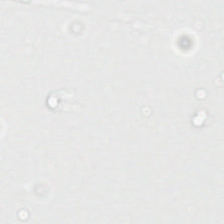H&E stain. Q: What is shown here?
A: It is empty background.
